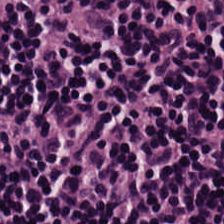Q: What is shown in this field?
A: Lymphocyte aggregate.
